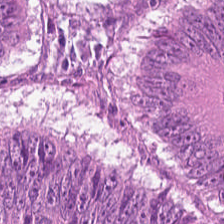224×224 px tile · FFPE · H&E-stained tissue section — This patch shows malignant epithelium.
